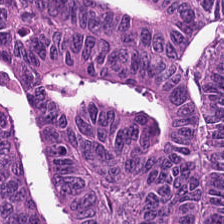H&E-stained tissue section — Classification — colorectal adenocarcinoma epithelium.
